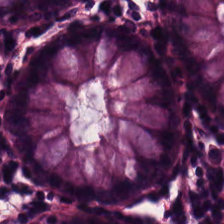Formalin-fixed paraffin-embedded section. H&E stain. Classification — normal colon mucosa.
